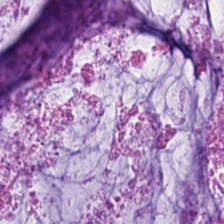H&E stain.
Q: What tissue type is shown here?
A: It is mucus.
